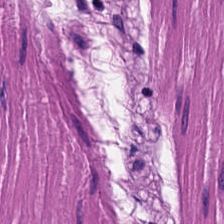Tissue: muscularis.
